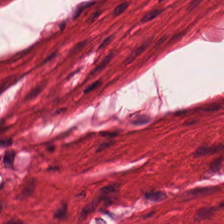H&E-stained tissue section — Q: What tissue is shown?
A: Smooth muscle.
